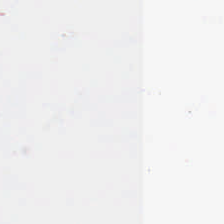Hematoxylin and eosin · 0.5 microns per pixel · 224×224 px patch — Finding → background (no tissue).
